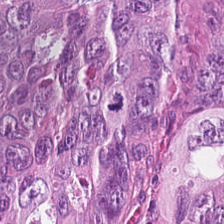FFPE tissue section. Whole-slide-image patch. H&E-stained tissue section. Q: What does this patch show?
A: The field shows tumor epithelium.
